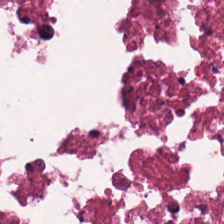0.5 µm per pixel; hematoxylin-and-eosin stained section. Tissue class — debris.
